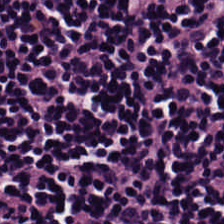H&E. Predominantly lymphocytic infiltrate.
